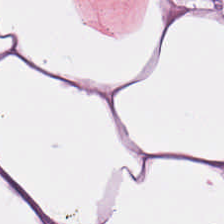This patch shows adipocytes.
